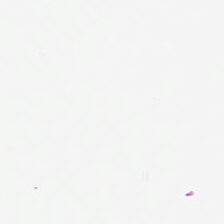Brightfield; H&E stain — Classification: background.
